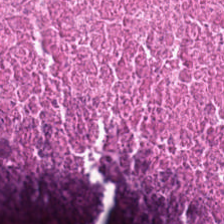Brightfield; 224×224 px tile; H&E-stained tissue section.
Classification: debris.
